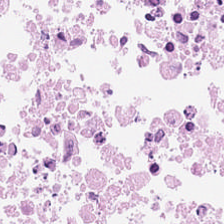H&E stain. The predominant tissue is necrotic debris.
